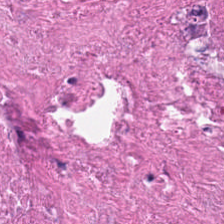Hematoxylin and eosin — The predominant tissue is debris.
